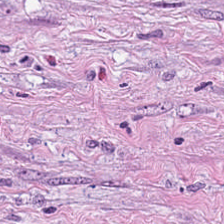H&E — Histology — desmoplastic stroma.
